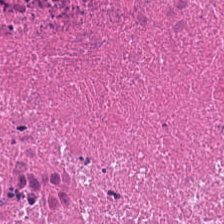Stain: H&E.
Tissue type: debris.
